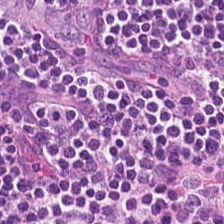H&E stain. 224×224 px patch.
Q: What tissue is shown?
A: This is lymphocyte aggregate.
